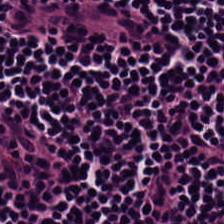H&E-stained tissue section. FFPE — Impression → lymphoid infiltrate.
